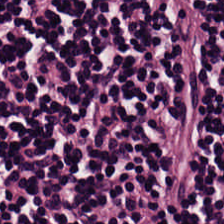Stain: hematoxylin-and-eosin stained section.
Tissue: lymphocyte aggregate.
